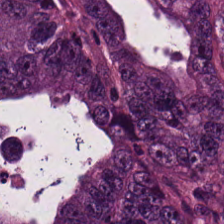H&E stain. Tissue = colorectal adenocarcinoma epithelium.
